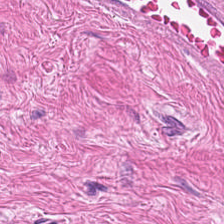H&E. 0.5 µm/px — Showing smooth muscle.
